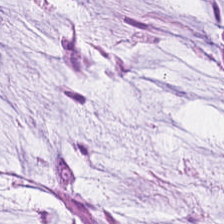The predominant tissue is mucus.
